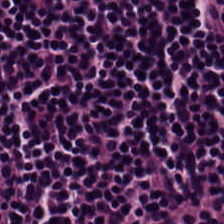H&E-stained tissue section · 224×224 px tile — Tissue type: lymphocyte aggregate.
